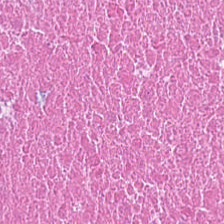Predominant tissue — necrotic debris.
